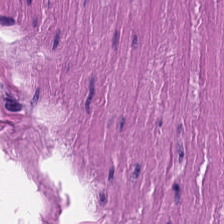H&E. Q: What is shown in this field?
A: It is smooth muscle.
